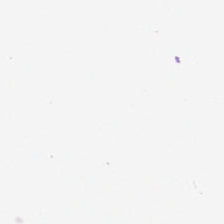H&E-stained tissue section; brightfield microscopy. Field content = empty background.
